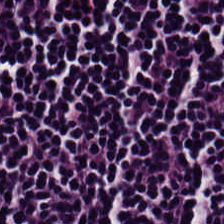H&E stain.
Lymphocytes.
